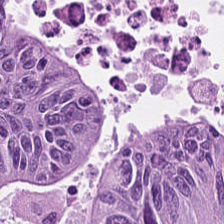Stain: hematoxylin and eosin.
Tile size: 224×224 px tile.
Tissue class: colorectal adenocarcinoma.
